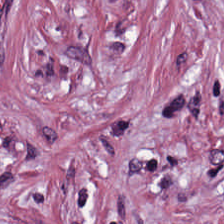H&E-stained tissue section; 224×224 px tile.
Finding → cancer-associated stroma.
